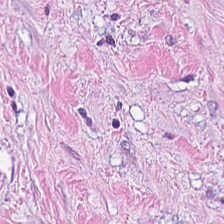Brightfield; H&E. Tissue = cancer-associated stroma.
